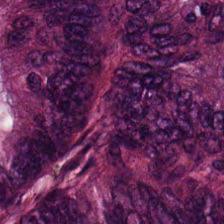Whole-slide-image patch; hematoxylin-and-eosin stained section. Histology — adenocarcinoma.
